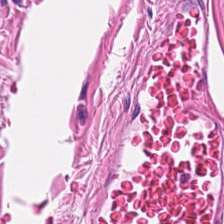H&E stain.
This patch shows muscularis.
